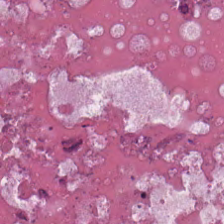Hematoxylin-and-eosin stained section.
Q: What is shown in this field?
A: The field shows debris.
